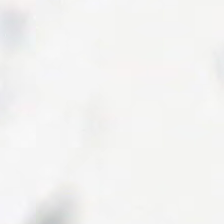Hematoxylin and eosin; FFPE; 224×224 pixel tile — Background (no tissue).
